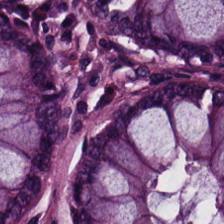Stain: hematoxylin and eosin.
Classification: benign colonic mucosa.
